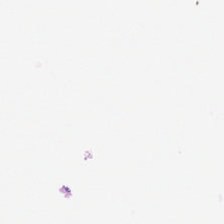H&E stain — This patch shows background.
